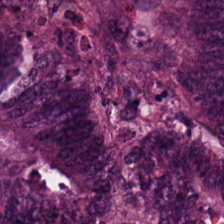Hematoxylin and eosin.
Q: Identify the tissue.
A: Adenocarcinoma.
